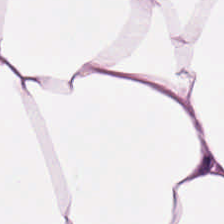H&E-stained tissue section. Q: Identify the tissue.
A: Fat tissue.
